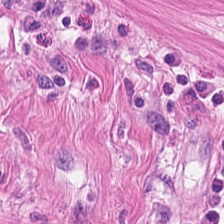Q: What tissue is shown?
A: Muscularis.
